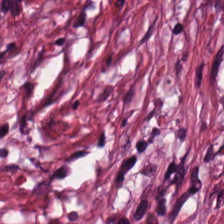Stain: H&E-stained tissue section.
Tissue class: tumor-associated stroma.
